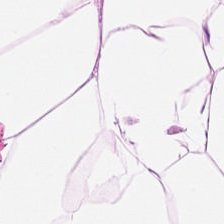0.5 µm/px; H&E stain.
Adipose.
